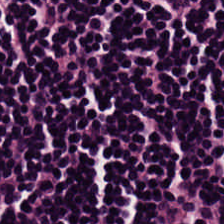H&E stain · 224×224 px patch · WSI patch. This field is lymphocytic infiltrate.
